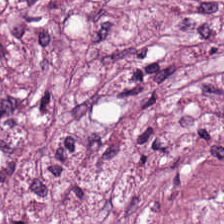Hematoxylin-and-eosin stained section — The predominant tissue is cancer-associated stroma.
